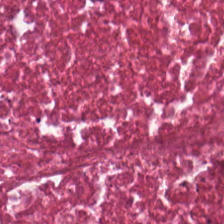Brightfield microscopy. Formalin-fixed paraffin-embedded section. H&E-stained tissue section. The classification is necrotic debris.
